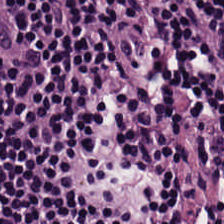Hematoxylin and eosin · 0.5 µm per pixel — Predominantly lymphocyte aggregate.
